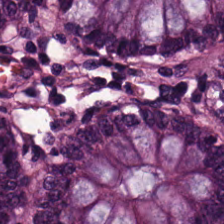Q: What type of tissue is this?
A: Benign colonic mucosa.
